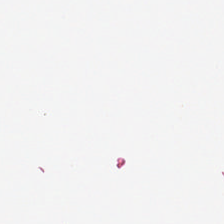Empty background.
